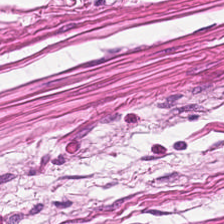Hematoxylin and eosin — This field is smooth muscle.
